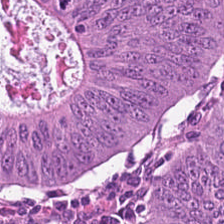Formalin-fixed paraffin-embedded section; 224×224 pixel tile; H&E.
The tissue is adenocarcinoma.
